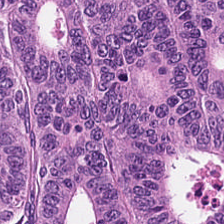0.5 microns per pixel. H&E — This field is colorectal adenocarcinoma epithelium.
